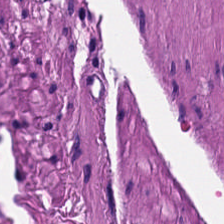Tissue class — smooth-muscle tissue.
